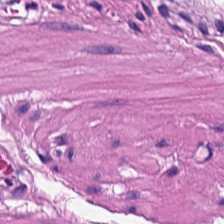Whole-slide-image patch. 0.5 µm/px. Hematoxylin-and-eosin stained section.
Classification — smooth muscle.
